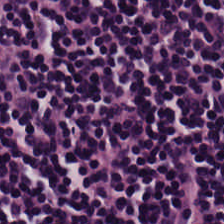0.5 µm/px. H&E.
Lymphocyte aggregate.
